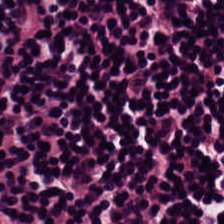The classification is lymphocytic infiltrate.
